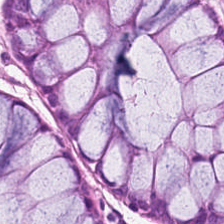{"tissue_type": "benign colonic mucosa"}
